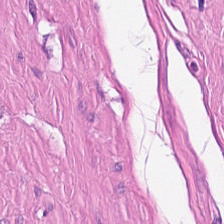Q: What is shown in this field?
A: It is muscularis.
